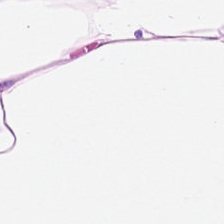Stain: H&E stain.
Acquisition: whole-slide-image patch.
Tissue: adipocytes.
